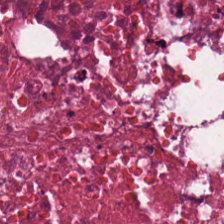This field is necrotic debris.
